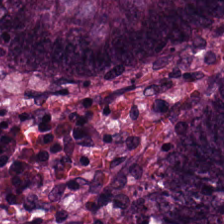Hematoxylin-and-eosin stained section. Impression → colorectal adenocarcinoma.
